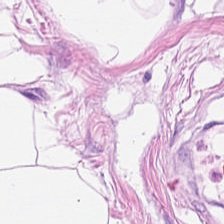H&E.
Adipose.
